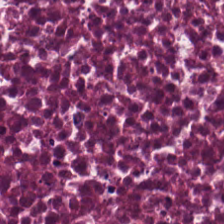The tissue class is cellular debris.
